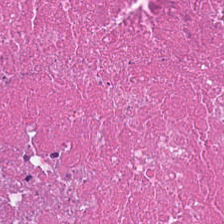H&E stain — Histology — debris.
